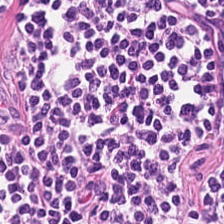H&E.
Q: Classify this patch.
A: It is lymphocytic infiltrate.
